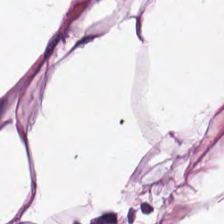Hematoxylin-and-eosin stained section; 224×224 px tile; 0.5 microns per pixel.
This patch shows adipocytes.
